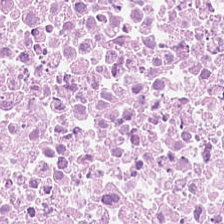H&E-stained tissue section. Formalin-fixed paraffin-embedded section. {"tissue_type": "debris"}
